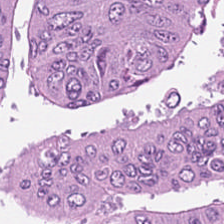H&E-stained tissue section — Predominant tissue = adenocarcinoma.
